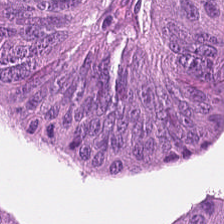Hematoxylin-and-eosin stained section — Histology — adenocarcinoma.
